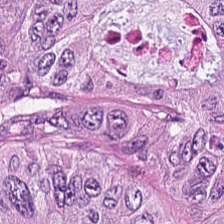H&E-stained tissue section · 224×224 pixel tile.
The tissue here is tumor epithelium.
